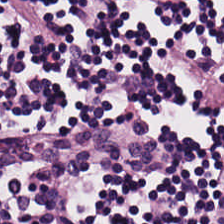H&E-stained tissue section. Histology — lymphocytes.
